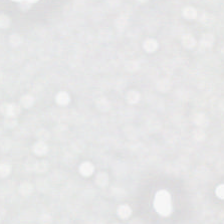Brightfield microscopy; H&E stain — Histology — background (no tissue).
